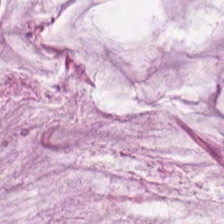Hematoxylin-and-eosin stained section; 224×224 pixel tile — The tissue class is mucin.
